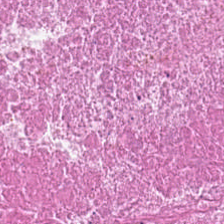Debris.
